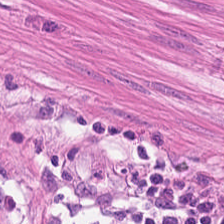H&E stain; 20× equivalent magnification. This field is muscularis.
